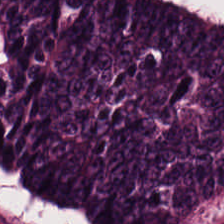20× equivalent magnification. H&E-stained tissue section — Showing colorectal adenocarcinoma epithelium.
